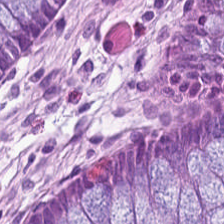Non-neoplastic colon mucosa.
